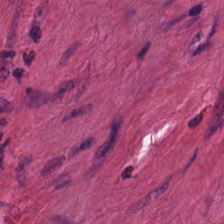H&E patch showing muscularis.
